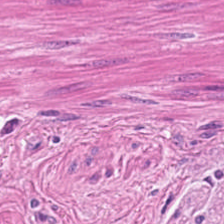H&E.
The tissue class is muscularis.
